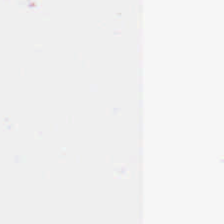Hematoxylin and eosin; FFPE.
No tissue present; background only.
